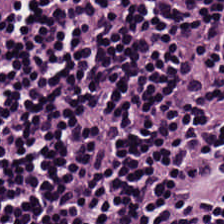H&E. Tissue class = lymphocytes.
